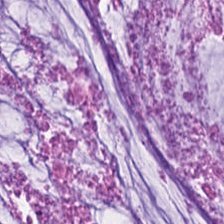Hematoxylin-and-eosin stained section · brightfield microscopy.
Mucus.
